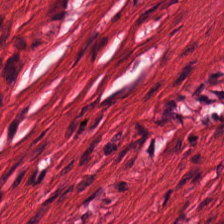Hematoxylin and eosin. Whole-slide-image patch.
Tissue — smooth-muscle tissue.
